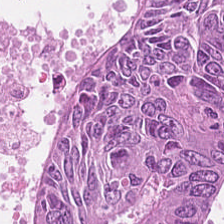Stain: hematoxylin and eosin.
Predominant tissue: tumor epithelium.
